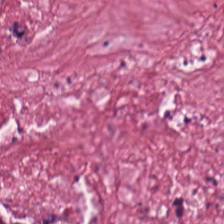0.5 µm per pixel. Hematoxylin-and-eosin stained section.
Finding — desmoplastic stroma.
